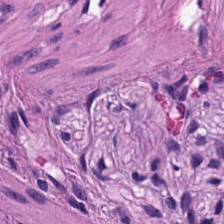224×224 pixel tile; hematoxylin and eosin — Smooth-muscle tissue.
